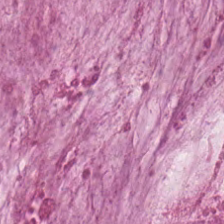Hematoxylin-and-eosin stained section; FFPE — {"tissue_type": "extracellular mucin"}
